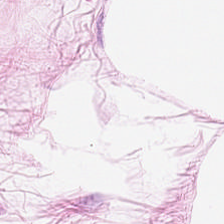Classification = fat tissue.
